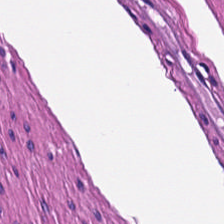Hematoxylin-and-eosin stained section; FFPE tissue section — Tissue type = smooth-muscle tissue.
